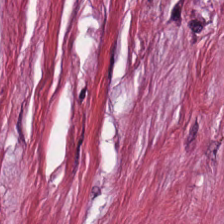H&E. Histology — desmoplastic stroma.
